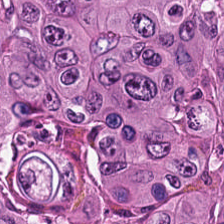Hematoxylin-and-eosin stained section; FFPE — Adenocarcinoma.
